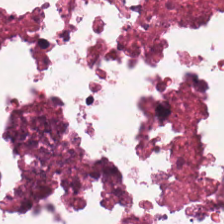H&E · 20× equivalent magnification. Finding — cellular debris.
